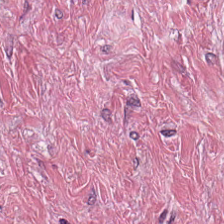H&E; 224×224 pixel tile — Impression → tumor stroma.
